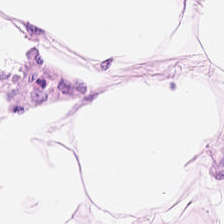H&E-stained tissue section. Tissue class: adipose tissue.
